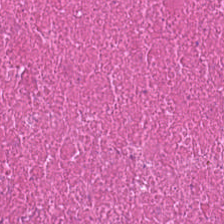Predominantly debris.
